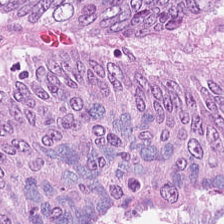H&E stain. Formalin-fixed paraffin-embedded section. Tissue type: adenocarcinoma.
